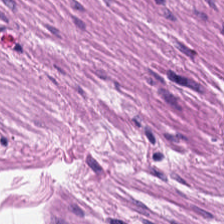H&E-stained tissue section.
Classification = smooth muscle.
